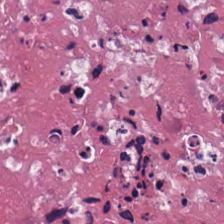H&E stain. Debris.
